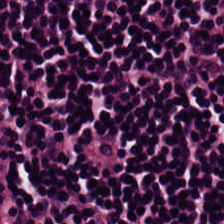Formalin-fixed paraffin-embedded section · hematoxylin-and-eosin stained section — Predominant tissue = lymphocyte aggregate.
